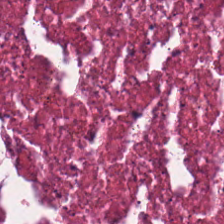{"tissue_type": "necrotic debris"}
